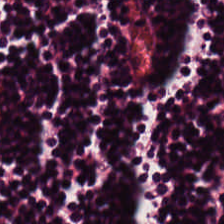Q: What type of tissue is this?
A: This is lymphocytes.
